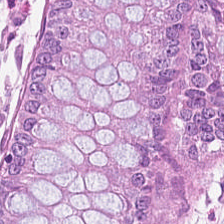Hematoxylin and eosin — Q: What does this patch show?
A: It is non-neoplastic colon mucosa.
